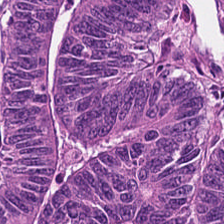FFPE tissue section · 224×224 px tile · H&E — This field is malignant epithelium.
